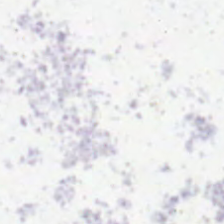{"content": "empty background"}
